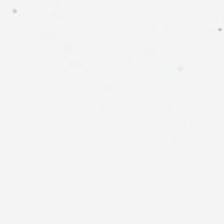Content: background.
